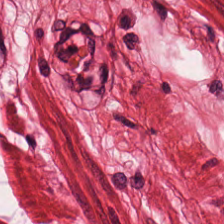0.5 µm per pixel. Hematoxylin-and-eosin stained section.
This field is smooth-muscle tissue.
